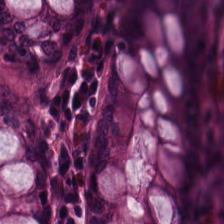Impression → non-neoplastic colon mucosa.
